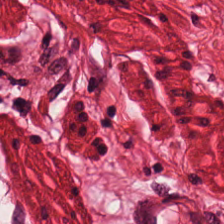Stain: H&E.
Predominant tissue: smooth-muscle tissue.
